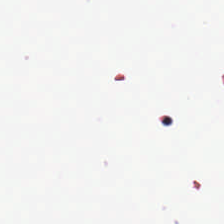H&E stain · 224×224 px tile · brightfield.
The field content is background.
